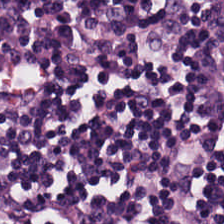WSI patch · 0.5 µm/px · hematoxylin-and-eosin stained section. Lymphoid infiltrate.
